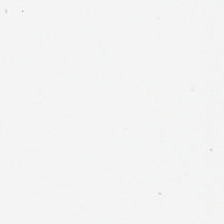H&E-stained tissue section. This field is background (no tissue).
